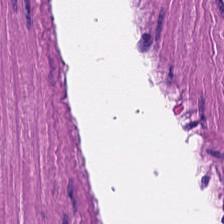Hematoxylin and eosin. Predominant tissue: smooth-muscle tissue.
